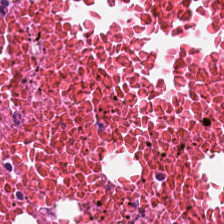Formalin-fixed paraffin-embedded section; hematoxylin-and-eosin stained section.
{"tissue_type": "debris"}
